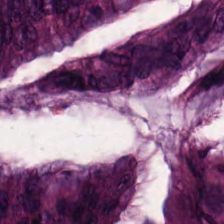Histology → colorectal adenocarcinoma.
